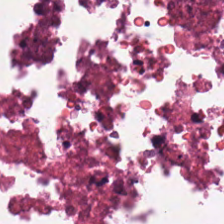0.5 microns per pixel; hematoxylin and eosin; WSI patch — Tissue type = debris.
